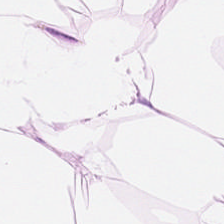Hematoxylin and eosin · 20× equivalent magnification. The predominant tissue is adipocytes.
